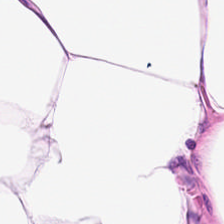0.5 µm/px. Brightfield microscopy. Hematoxylin-and-eosin stained section — Predominant tissue — adipose tissue.
